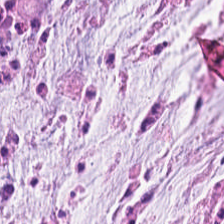Hematoxylin and eosin. Impression → extracellular mucin.
